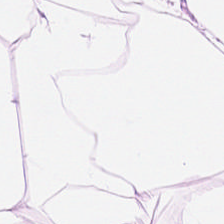H&E stain.
Q: Identify the tissue.
A: The field shows fat tissue.
